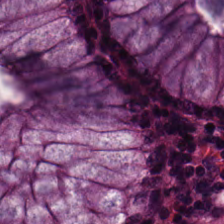Hematoxylin-and-eosin stained section — Classification = normal colonic mucosa.
